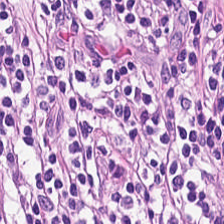The tissue here is lymphocytes.
